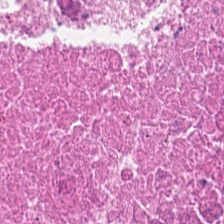Tissue class: cellular debris.
